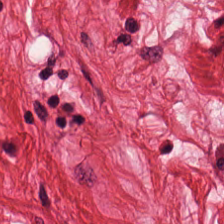H&E stain.
Predominantly smooth-muscle tissue.
